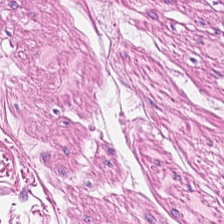Tissue = muscularis.
